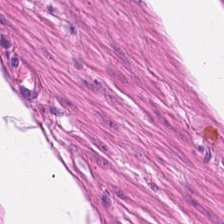Brightfield; H&E stain; 224×224 px patch. {"tissue_type": "smooth-muscle tissue"}
